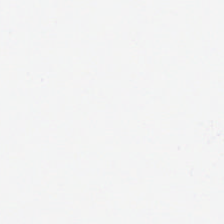H&E-stained tissue section. Background — no tissue in this field.
